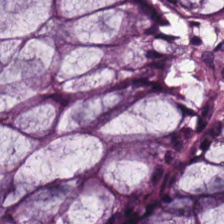224×224 px patch. Hematoxylin-and-eosin stained section. 0.5 microns per pixel. Q: What does this patch show?
A: Normal colonic mucosa.
